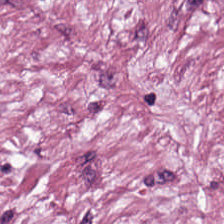Hematoxylin-and-eosin stained section — The predominant tissue is tumor-associated stroma.
